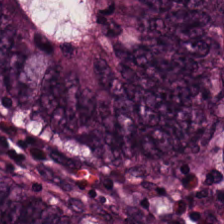Brightfield microscopy. H&E — Predominantly colorectal adenocarcinoma epithelium.
